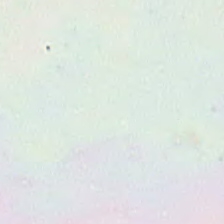0.5 µm per pixel; hematoxylin and eosin — Impression — background (no tissue).
